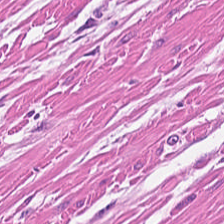Hematoxylin-and-eosin stained section — Showing smooth-muscle tissue.
